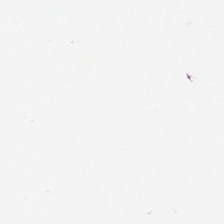Hematoxylin-and-eosin stained section — Empty field — background (no tissue).
